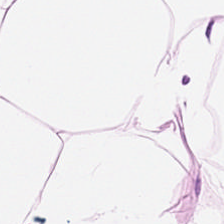FFPE; H&E.
This field is fat tissue.
